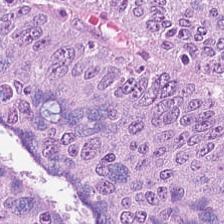Hematoxylin and eosin · 224×224 pixel tile.
The predominant tissue is adenocarcinoma.
